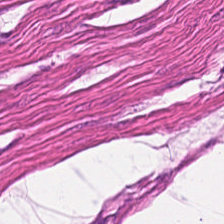Hematoxylin-and-eosin stained section — Predominantly smooth muscle.
